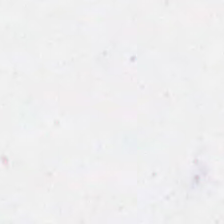Impression → empty background.
